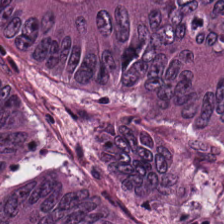Hematoxylin and eosin. {"tissue_type": "tumor epithelium"}
